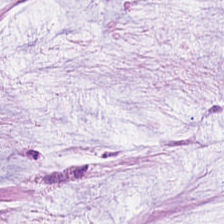H&E stain; formalin-fixed paraffin-embedded section.
Mucin.
